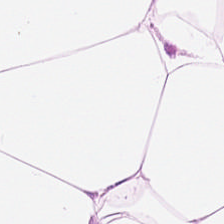Adipose tissue.
